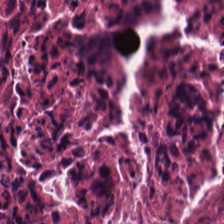H&E. FFPE tissue section. Brightfield microscopy — Finding → necrotic debris.
